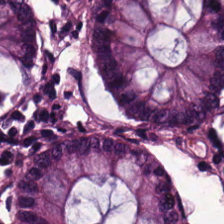Hematoxylin and eosin. Brightfield microscopy. Formalin-fixed paraffin-embedded section. Showing normal colonic mucosa.
